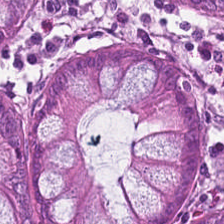H&E-stained tissue section. Whole-slide-image patch — Tissue — normal colonic mucosa.
